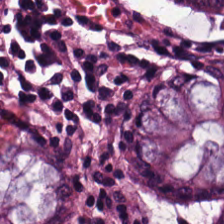Tissue = non-neoplastic colon mucosa.
